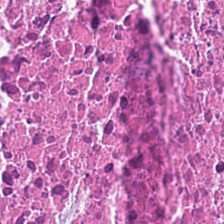H&E-stained tissue section showing necrotic debris.
